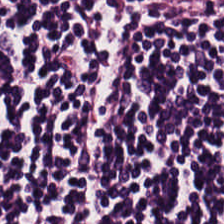H&E stain · brightfield. Q: What is the predominant tissue type?
A: It is lymphoid infiltrate.
